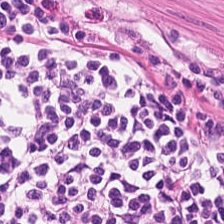H&E. 224×224 px patch. Predominant tissue — smooth-muscle tissue.
